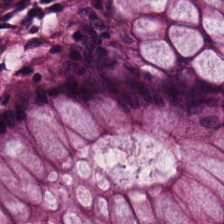224×224 px tile; H&E-stained tissue section; formalin-fixed paraffin-embedded section.
Tissue class — non-neoplastic colon mucosa.
